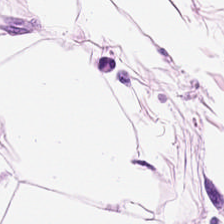Brightfield. H&E-stained tissue section — Classification: adipose.
